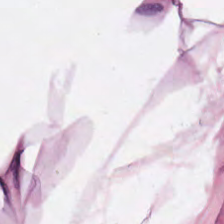224×224 pixel tile; H&E-stained tissue section; brightfield — Q: What is shown here?
A: Adipocytes.
